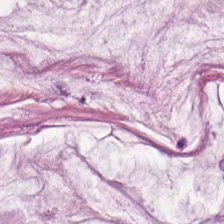Hematoxylin and eosin; brightfield. This patch shows mucin.
